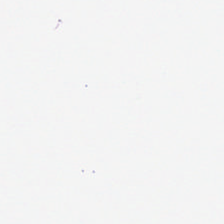Hematoxylin and eosin — Classification — empty background.
